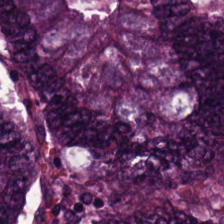FFPE tissue section · hematoxylin-and-eosin stained section. The predominant tissue is colorectal adenocarcinoma.
